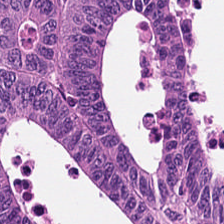Classification: tumor epithelium.
